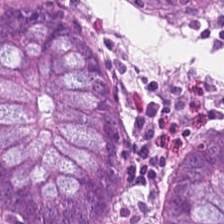0.5 µm/px. Hematoxylin and eosin — The tissue here is normal colon mucosa.
